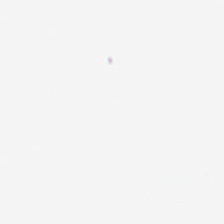H&E. No tissue present; background only.
